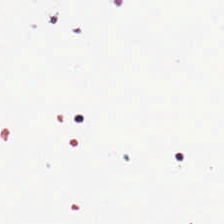Hematoxylin and eosin. FFPE. 0.5 µm per pixel. No tissue present; background only.
